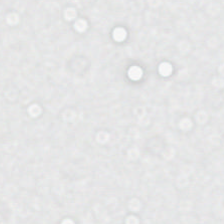Q: What does this patch show?
A: Background (no tissue).
